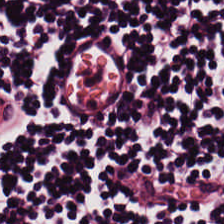Tissue — lymphocytes.
